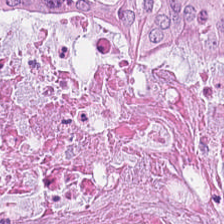Stain: hematoxylin and eosin.
Predominant tissue: malignant epithelium.
